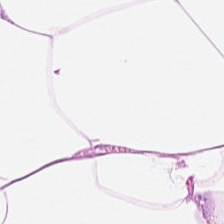224×224 px tile · H&E. Adipose tissue.
